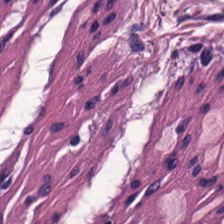0.5 microns per pixel. Hematoxylin-and-eosin stained section. 224×224 pixel tile. The predominant tissue is muscularis.
